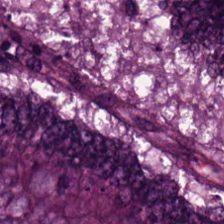H&E; 224×224 px tile; brightfield microscopy — Q: Classify this patch.
A: This is tumor epithelium.
